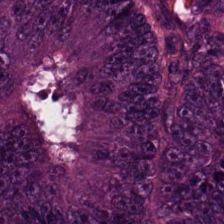H&E stain · FFPE tissue section — Predominantly tumor epithelium.
